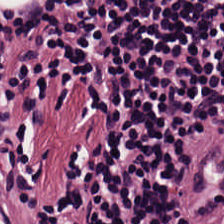Hematoxylin and eosin. The tissue here is lymphoid infiltrate.
